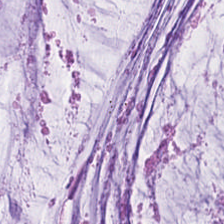Hematoxylin-and-eosin stained section — Impression → extracellular mucin.
